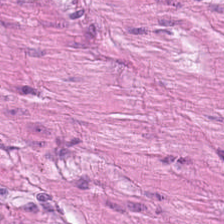H&E stain.
Q: What type of tissue is this?
A: This is smooth muscle.
